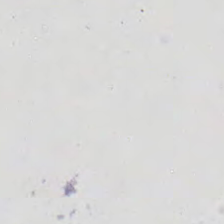Hematoxylin and eosin · 224×224 pixel tile. The field content is background (no tissue).
